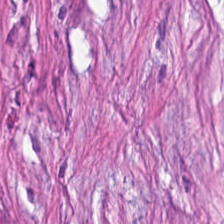H&E-stained tissue section. Histology → desmoplastic stroma.
